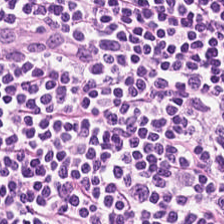H&E-stained tissue section; whole-slide-image patch; FFPE — This field is lymphocytes.
